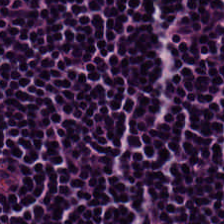H&E; brightfield microscopy. Impression — lymphoid infiltrate.
